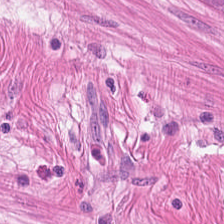H&E. Showing smooth muscle.
